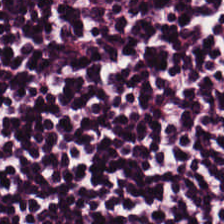H&E stain. Q: What tissue is shown?
A: This is lymphocytes.
